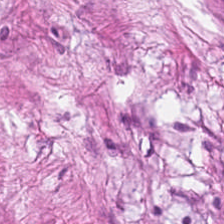Stain: H&E.
Tissue type: tumor stroma.
